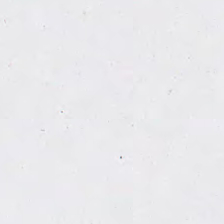Hematoxylin and eosin · brightfield microscopy. Q: What does this patch show?
A: The field shows background (no tissue).
